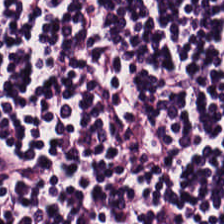Hematoxylin-and-eosin stained section — This field is lymphocyte aggregate.
